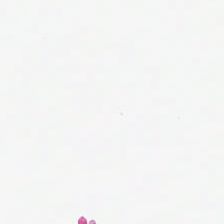No tissue present; background only.
